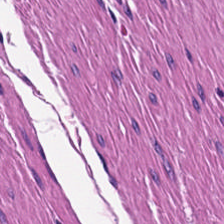20× equivalent magnification. H&E stain.
Tissue type: smooth muscle.
